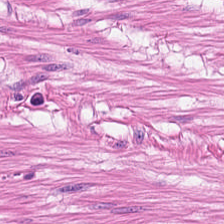Predominant tissue: smooth muscle.
